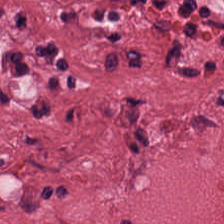H&E — tumor-associated stroma.
